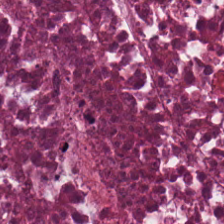H&E-stained tissue section.
Classification = debris.
